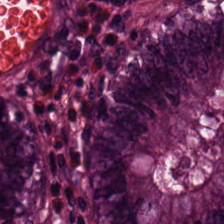Hematoxylin-and-eosin stained section.
Tissue class — benign colonic mucosa.
